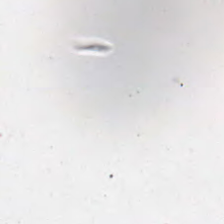H&E.
The classification is background (no tissue).
